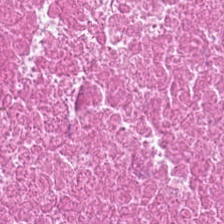Hematoxylin-and-eosin stained section.
The tissue here is cellular debris.
